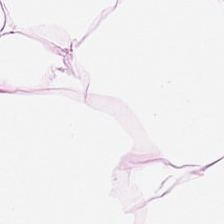Hematoxylin-and-eosin stained section. Brightfield microscopy. Adipose tissue.
